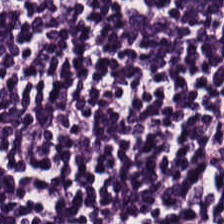Stain: H&E stain.
Tissue: lymphocytic infiltrate.
